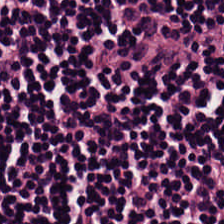Hematoxylin-and-eosin stained section — Lymphocytes.
